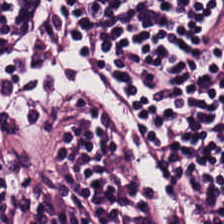0.5 microns per pixel. Hematoxylin-and-eosin stained section. Whole-slide-image patch.
The predominant tissue is lymphocytic infiltrate.
